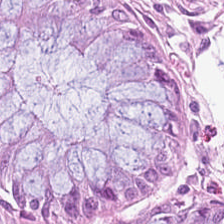H&E-stained tissue section. The tissue type is normal colonic mucosa.
